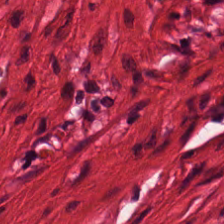H&E-stained section; the field shows smooth-muscle tissue.
